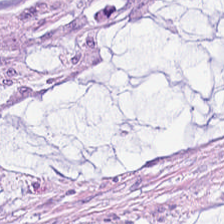H&E-stained tissue section. This field is extracellular mucin.
